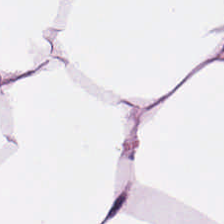H&E — adipose tissue.
